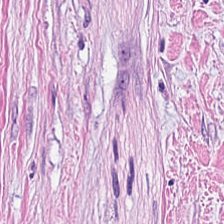H&E; brightfield microscopy. Q: What tissue is shown?
A: Cancer-associated stroma.
